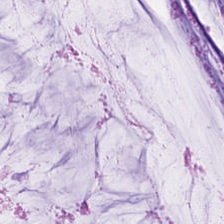Showing extracellular mucin.
